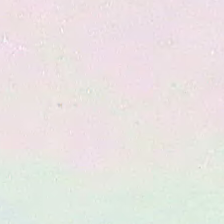Q: Classify this patch.
A: Empty background.
